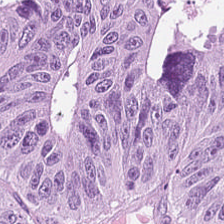Tumor epithelium.
